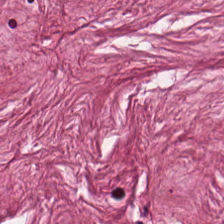0.5 µm/px. WSI patch. H&E — Predominantly desmoplastic stroma.
